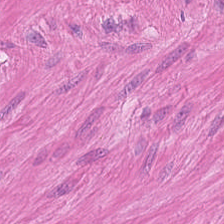Q: What tissue type is shown here?
A: The field shows smooth-muscle tissue.
